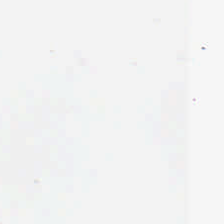H&E-stained tissue section — Empty field — empty background.
